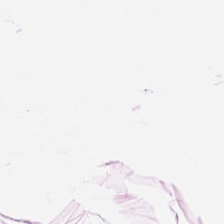Hematoxylin-and-eosin stained section.
Predominantly adipose tissue.
